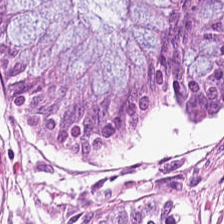Hematoxylin-and-eosin stained section. Showing normal colon mucosa.
